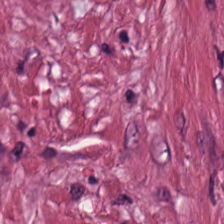H&E-stained tissue section.
Histology — tumor stroma.
